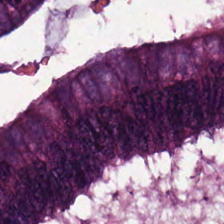H&E stain.
Q: What tissue type is shown here?
A: Adenocarcinoma.
